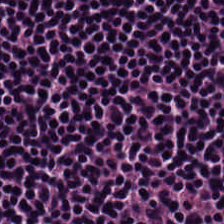Showing lymphocytes.
